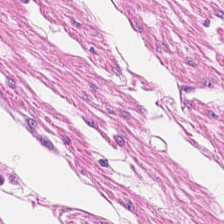The predominant tissue is smooth muscle.
